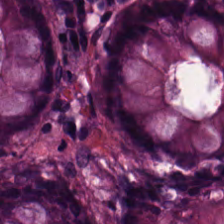FFPE tissue section. Hematoxylin and eosin. 0.5 µm per pixel. Showing non-neoplastic colon mucosa.
